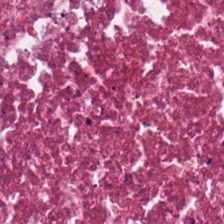Stain: H&E-stained tissue section.
Tissue: necrotic debris.
